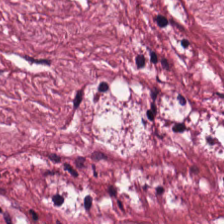224×224 px patch. H&E-stained tissue section. FFPE tissue section. Tissue — tumor-associated stroma.
